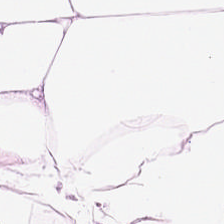Histology → adipocytes.
